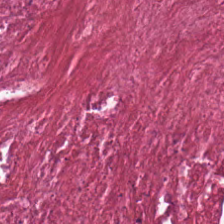Hematoxylin and eosin · whole-slide-image patch — {"tissue_type": "cellular debris"}
